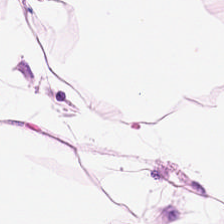H&E stain. FFPE. {"tissue_type": "adipose"}
